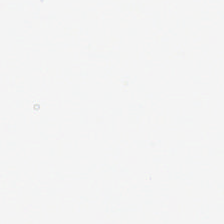20× equivalent magnification · H&E-stained tissue section — This field is background (no tissue).
